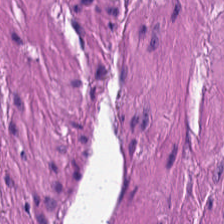224×224 pixel tile · H&E stain.
This field is muscularis.
